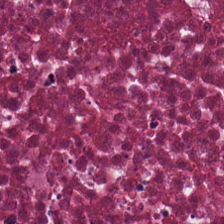224×224 px patch. Hematoxylin and eosin. FFPE tissue section. The predominant tissue is necrotic debris.
